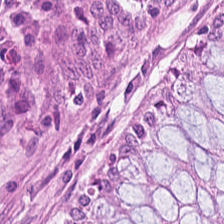Hematoxylin-and-eosin stained section.
This field is normal colon mucosa.
